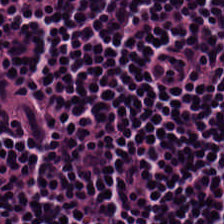Stain: H&E.
Predominant tissue: lymphocytes.
